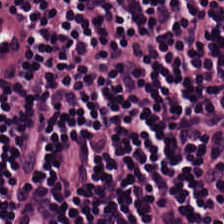H&E stain. Showing lymphocytic infiltrate.
